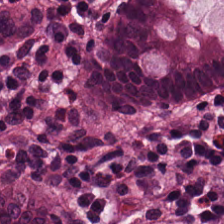Stain: hematoxylin and eosin.
Resolution: 0.5 µm per pixel.
Tissue class: normal colonic mucosa.
